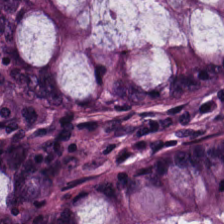FFPE. H&E-stained tissue section — Normal colonic mucosa.
